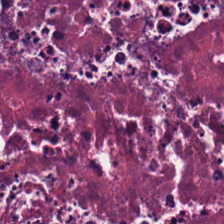H&E stain.
This field is debris.
